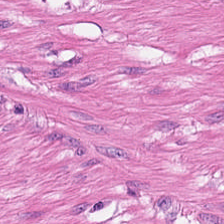Stain: H&E-stained tissue section.
Tissue: smooth muscle.
